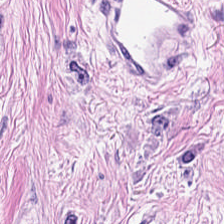224×224 pixel tile. H&E. Formalin-fixed paraffin-embedded section — This field is tumor-associated stroma.
